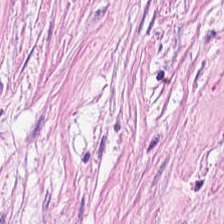Stain: H&E stain.
Predominant tissue: tumor stroma.
